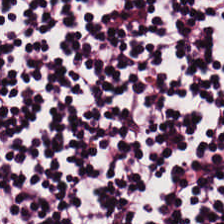H&E stain; 224×224 px tile. Q: What is shown in this field?
A: The field shows lymphocytic infiltrate.
